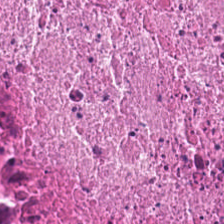H&E stain — Impression → debris.
